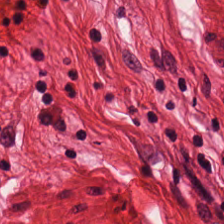H&E; 224×224 px patch. Histology — muscularis.
